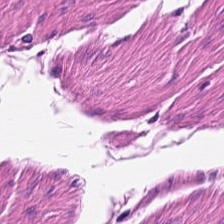The tissue class is smooth-muscle tissue.
